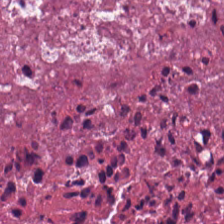WSI patch. H&E-stained tissue section. FFPE.
This patch shows necrotic debris.
